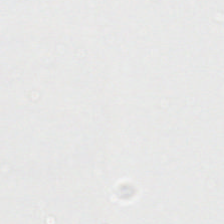224×224 px tile; H&E stain — Background — no tissue in this field.
